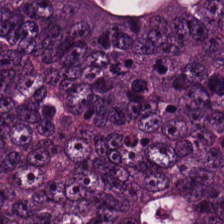Hematoxylin-and-eosin stained section. 224×224 px patch.
Q: Classify this patch.
A: The field shows adenocarcinoma.
